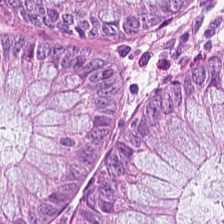H&E-stained tissue section. The tissue here is non-neoplastic colon mucosa.
